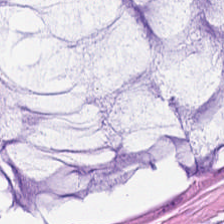224×224 px patch · H&E stain. Tissue type = mucus.
